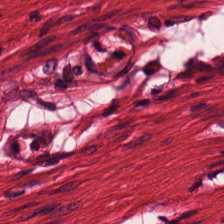Tissue: smooth-muscle tissue.
